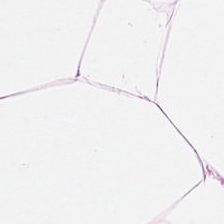Hematoxylin-and-eosin stained section.
Impression — fat tissue.
